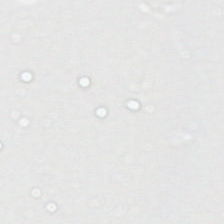Whole-slide-image patch · H&E stain. Background — no tissue in this field.
